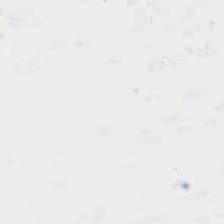WSI patch; H&E stain — Q: What does this patch show?
A: This is no tissue.
